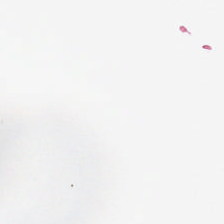This field is background (no tissue).
